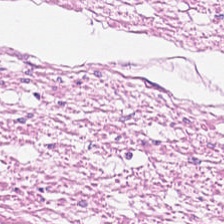Tissue class — smooth muscle.
